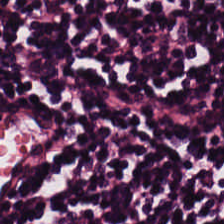H&E-stained tissue section.
Impression — lymphoid infiltrate.
